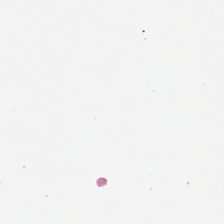Stain: H&E-stained tissue section.
Content: empty background.
